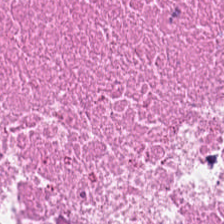H&E. This field is cellular debris.
